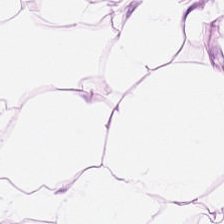Hematoxylin-and-eosin stained section.
Showing fat tissue.
